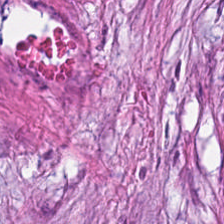Hematoxylin-and-eosin stained section.
This field is desmoplastic stroma.
